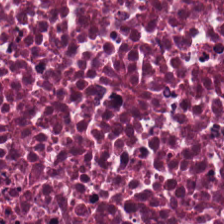H&E-stained tissue section.
Tissue type: necrotic debris.
